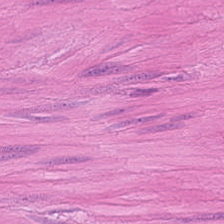Stain: H&E-stained tissue section.
Tissue: smooth-muscle tissue.
